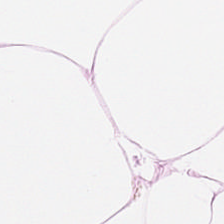224×224 px patch. H&E stain.
Histology — adipocytes.
